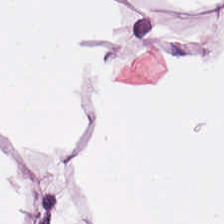Hematoxylin and eosin; whole-slide-image patch — Histology → adipose tissue.
